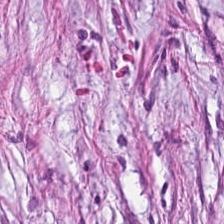H&E-stained tissue section.
Q: What tissue type is shown here?
A: Tumor-associated stroma.
